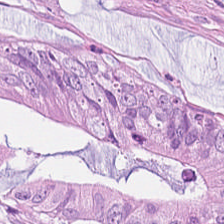This field is tumor epithelium.
